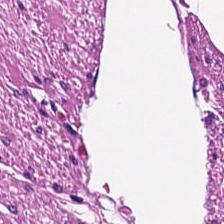Impression → muscularis.
